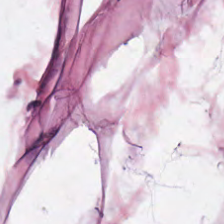Hematoxylin-and-eosin stained section — Fat tissue.
